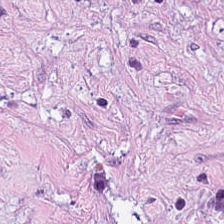0.5 µm/px. H&E-stained tissue section. FFPE — {"tissue_type": "tumor-associated stroma"}
